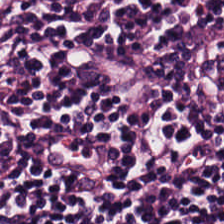Stain: hematoxylin and eosin.
Acquisition: whole-slide-image patch.
Tile size: 224×224 px tile.
Classification: lymphocytes.
